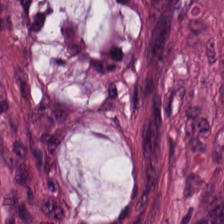H&E stain.
Q: What tissue type is shown here?
A: This is tumor epithelium.
